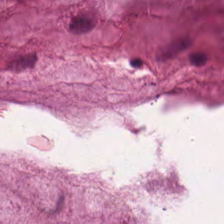H&E — The predominant tissue is mucus.
